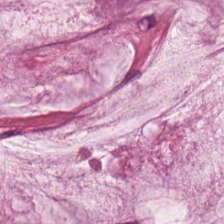Stain: H&E stain.
Classification: extracellular mucin.
